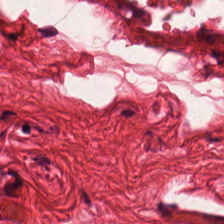H&E stain.
Q: What tissue is shown?
A: It is smooth-muscle tissue.
